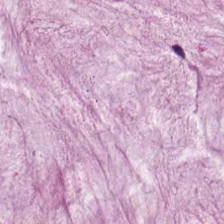Hematoxylin and eosin — Showing mucus.
